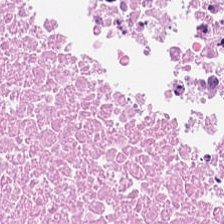Hematoxylin and eosin.
Tissue = debris.
